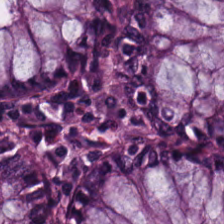H&E-stained tissue section.
Histology → benign colonic mucosa.
